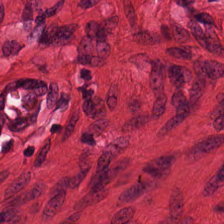The tissue class is smooth muscle.
